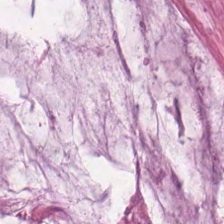Q: What does this patch show?
A: This is mucin.
